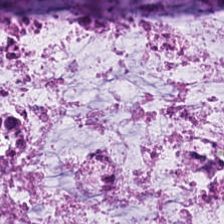Classification — extracellular mucin.
